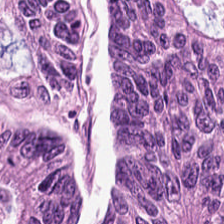H&E. Brightfield. The tissue type is adenocarcinoma.
